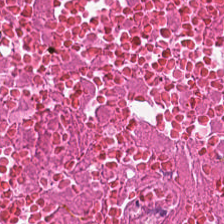Necrotic debris.
